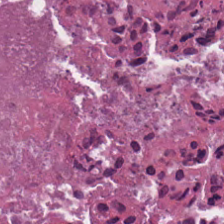Stain: H&E-stained tissue section.
Resolution: 0.5 µm per pixel.
Tissue: necrotic debris.
